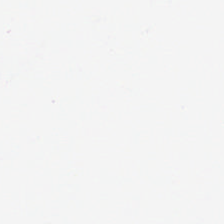H&E-stained tissue section; brightfield microscopy; 224×224 px tile.
Content = background.
